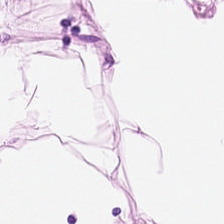Stain: hematoxylin-and-eosin stained section.
Resolution: 0.5 microns per pixel.
Acquisition: whole-slide-image patch.
Predominant tissue: adipose.
